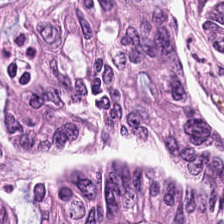Showing malignant epithelium.
